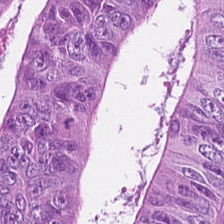This patch shows colorectal adenocarcinoma.
